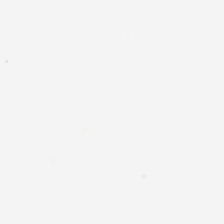Stain: H&E stain.
Preparation: FFPE.
Tile size: 224×224 px patch.
Content: empty background.
